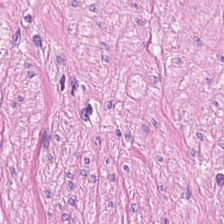H&E stain. The tissue is muscularis.
